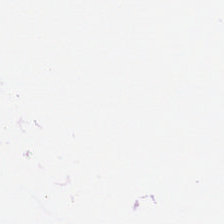Stain: hematoxylin and eosin.
Tile size: 224×224 pixel tile.
Preparation: formalin-fixed paraffin-embedded section.
Content: empty background.
